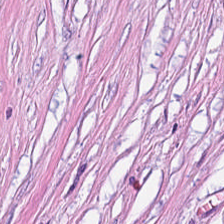Desmoplastic stroma.
